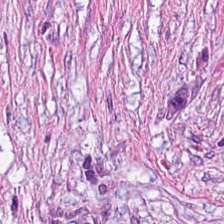H&E-stained tissue section · 224×224 px patch.
Tissue class = cancer-associated stroma.
